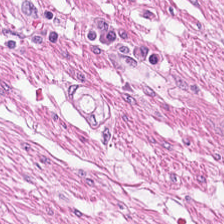H&E · whole-slide-image patch.
Tissue type = smooth muscle.
